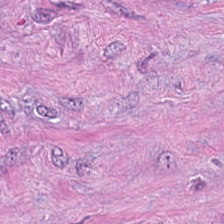0.5 microns per pixel; hematoxylin and eosin; formalin-fixed paraffin-embedded section — Tissue: tumor stroma.
